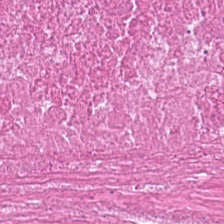Cellular debris.
